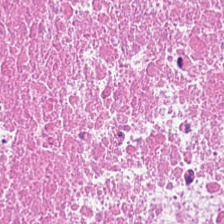Brightfield microscopy; hematoxylin-and-eosin stained section.
The classification is necrotic debris.
